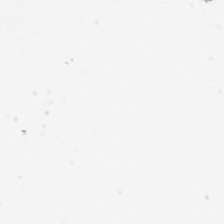0.5 µm per pixel; H&E stain.
Histology → background (no tissue).
